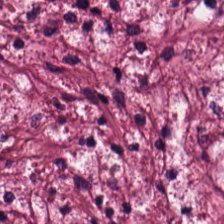Hematoxylin-and-eosin stained section. Showing cancer-associated stroma.
